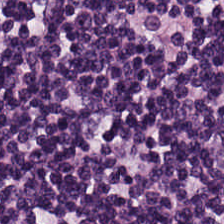H&E-stained tissue section — {"tissue_type": "lymphocytic infiltrate"}
